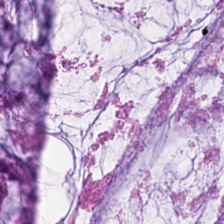H&E.
Finding — extracellular mucin.
